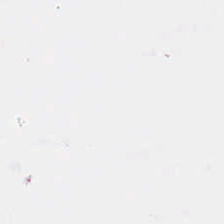Stain: hematoxylin and eosin.
Preparation: FFPE.
Content: background (no tissue).
